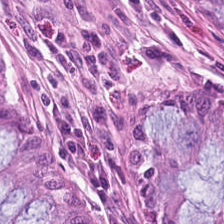Benign colonic mucosa.
